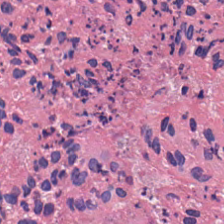Hematoxylin and eosin.
The tissue here is necrotic debris.
